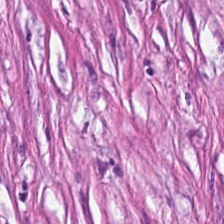FFPE tissue section · hematoxylin-and-eosin stained section — Predominant tissue — tumor stroma.
